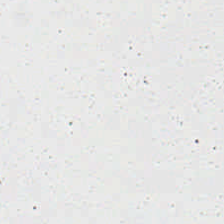H&E stain — Finding → background (no tissue).
